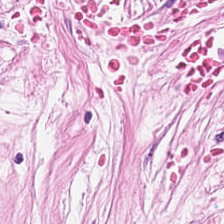Cancer-associated stroma.
